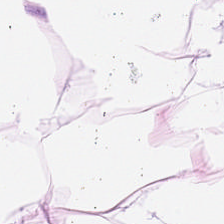Impression — fat tissue.
